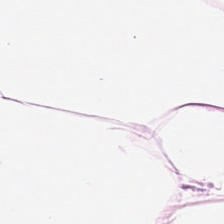H&E stain · FFPE tissue section · whole-slide-image patch.
Predominantly adipose tissue.
